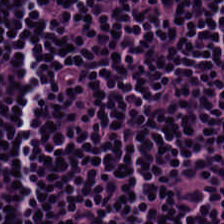{"tissue_type": "lymphocytic infiltrate"}
